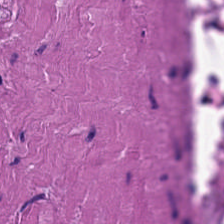Hematoxylin-and-eosin stained section — {"tissue_type": "muscularis"}
